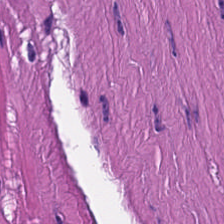Hematoxylin and eosin; 224×224 pixel tile. The predominant tissue is muscularis.
